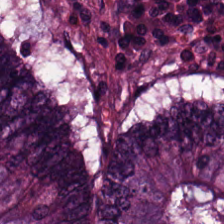Hematoxylin and eosin · 224×224 px tile.
Q: What does this patch show?
A: It is colorectal adenocarcinoma.
